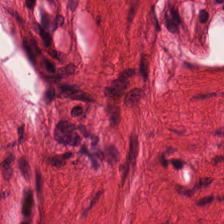H&E — The tissue class is smooth-muscle tissue.
